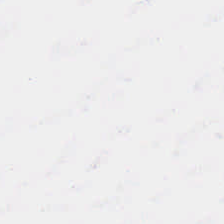FFPE tissue section; H&E — Background — no tissue in this field.
